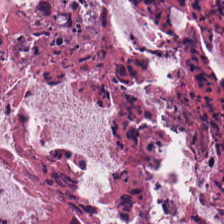Hematoxylin and eosin. Necrotic debris.
